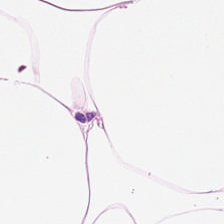Hematoxylin-and-eosin stained section. The tissue class is fat tissue.
